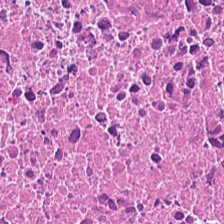Formalin-fixed paraffin-embedded section; H&E-stained tissue section — This patch shows debris.
